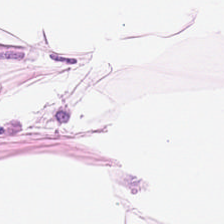Stain: H&E.
Predominant tissue: adipose tissue.
